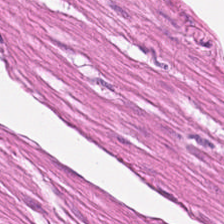Hematoxylin and eosin.
{"tissue_type": "smooth muscle"}
